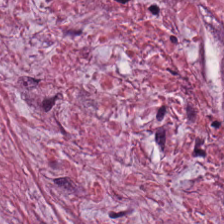H&E.
Tissue class = cancer-associated stroma.
